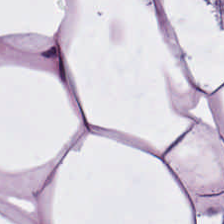224×224 pixel tile · brightfield · H&E-stained tissue section. {"tissue_type": "adipose"}
